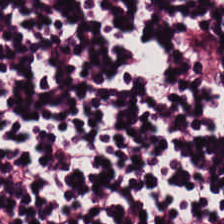Hematoxylin and eosin — Tissue class: lymphoid infiltrate.
